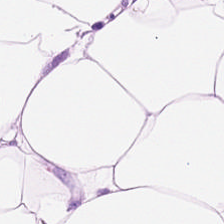Adipose tissue.
